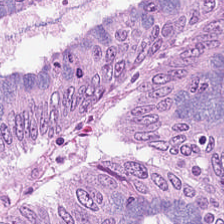The tissue type is tumor epithelium.
